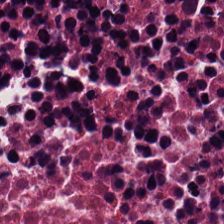H&E.
This field is cellular debris.
